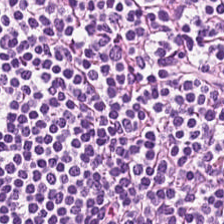Q: Classify this patch.
A: Lymphoid infiltrate.
